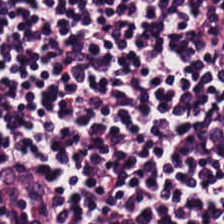Hematoxylin and eosin · 0.5 µm per pixel.
Histology — lymphocyte aggregate.
